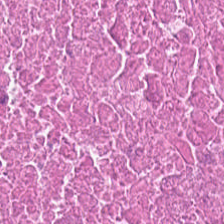Q: What type of tissue is this?
A: It is debris.
